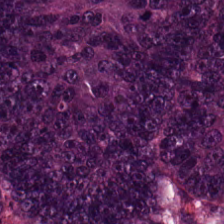H&E stain. 224×224 pixel tile — Q: Identify the tissue.
A: The field shows colorectal adenocarcinoma.
